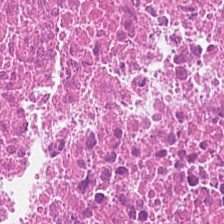H&E stain. FFPE. {"tissue_type": "cellular debris"}
